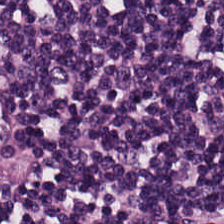H&E-stained tissue section — Tissue = lymphoid infiltrate.
